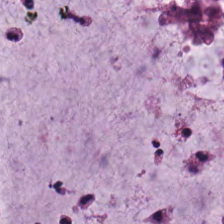H&E stain. Whole-slide-image patch.
Extracellular mucin.
